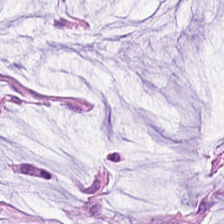Tissue type: mucus.
